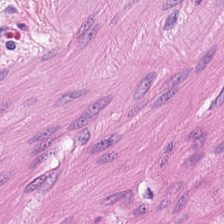224×224 pixel tile; H&E.
Q: What is shown in this field?
A: This is smooth muscle.
